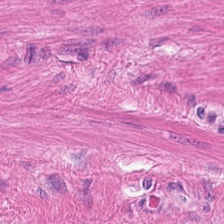H&E stain. Q: Classify this patch.
A: It is smooth-muscle tissue.
